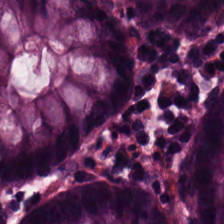H&E stain · FFPE.
The tissue here is normal colonic mucosa.
